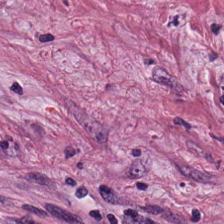Hematoxylin-and-eosin stained section. Q: What tissue type is shown here?
A: The field shows tumor-associated stroma.
